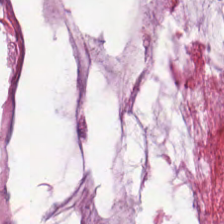H&E-stained tissue section · brightfield microscopy. Predominantly mucus.
